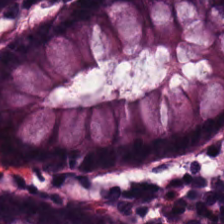Stain: H&E stain.
Predominant tissue: benign colonic mucosa.
